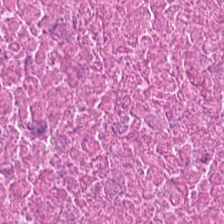FFPE tissue section; H&E.
Necrotic debris.
